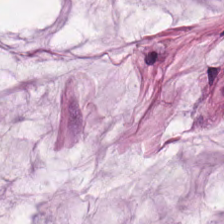224×224 px tile. Hematoxylin and eosin.
Impression — mucus.
